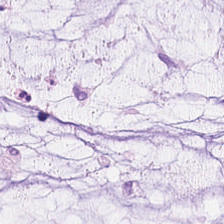Hematoxylin and eosin — Tissue type: extracellular mucin.
